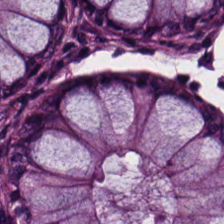Stain: hematoxylin-and-eosin stained section.
Tile size: 224×224 px patch.
Acquisition: brightfield.
Predominant tissue: normal colon mucosa.
